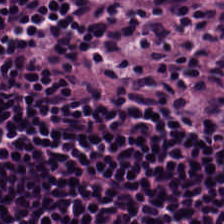FFPE. 224×224 pixel tile. Hematoxylin-and-eosin stained section — Tissue = lymphocyte aggregate.
